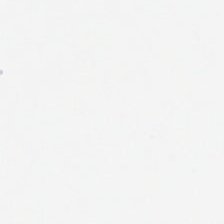Empty field — background.
